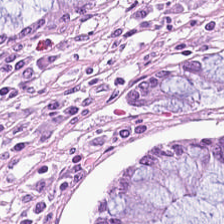Predominant tissue = benign colonic mucosa.
